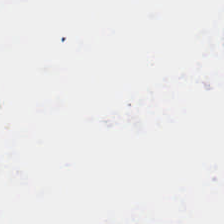H&E — Q: What is shown in this field?
A: It is empty background.
